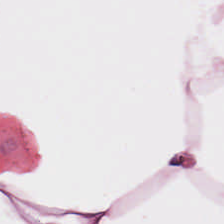H&E-stained section; the field shows adipocytes.
